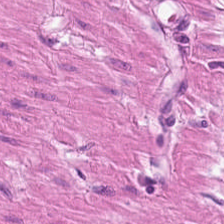WSI patch; H&E; 0.5 microns per pixel.
Q: What is shown in this field?
A: Smooth-muscle tissue.
